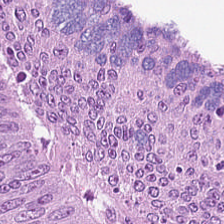H&E-stained tissue section. {"tissue_type": "colorectal adenocarcinoma"}
